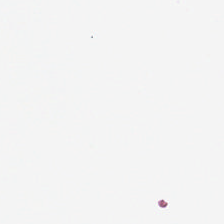FFPE · H&E · WSI patch.
No tissue present; background only.
